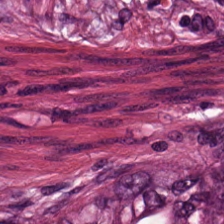Hematoxylin and eosin. Impression — cancer-associated stroma.
